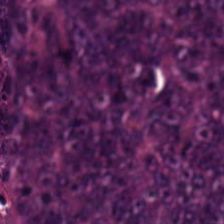Impression — tumor epithelium.
